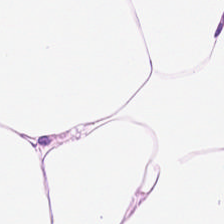224×224 px tile. Hematoxylin-and-eosin stained section. Fat tissue.
